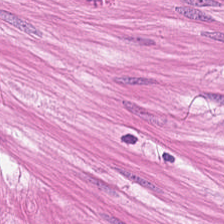H&E stain.
Q: What tissue is shown?
A: This is smooth muscle.
